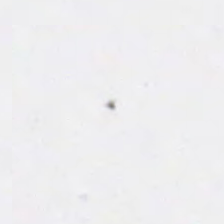H&E.
Background — no tissue in this field.
